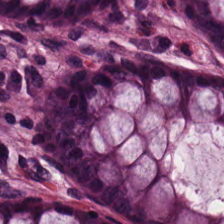FFPE tissue section. H&E stain — Non-neoplastic colon mucosa.
